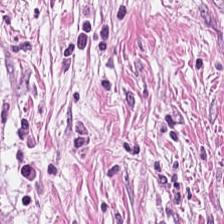Stain: hematoxylin-and-eosin stained section.
Preparation: formalin-fixed paraffin-embedded section.
Tissue: desmoplastic stroma.
